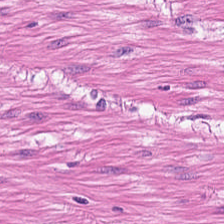H&E-stained tissue section — This field is smooth-muscle tissue.
